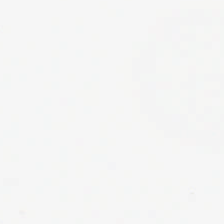Hematoxylin and eosin. Classification: no tissue.
